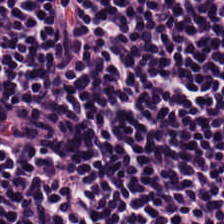H&E-stained tissue section. This patch shows lymphoid infiltrate.
